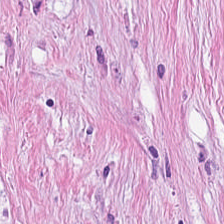H&E-stained tissue section — Q: What does this patch show?
A: Cancer-associated stroma.
